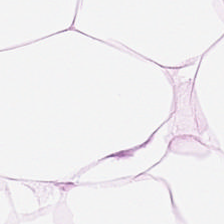Tissue type: adipocytes.
